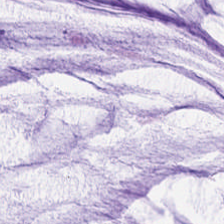H&E-stained tissue section. The tissue here is mucin.
